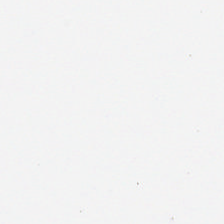Brightfield; H&E; 224×224 px tile.
Background.
